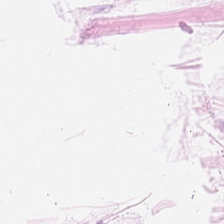FFPE tissue section; H&E stain — Finding → adipose tissue.
